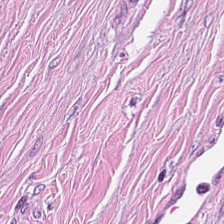Classification: desmoplastic stroma.
